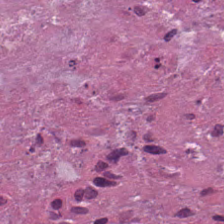H&E-stained tissue section. The predominant tissue is debris.
